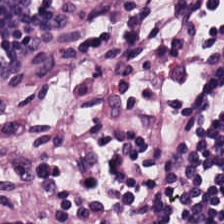H&E — Showing lymphoid infiltrate.
